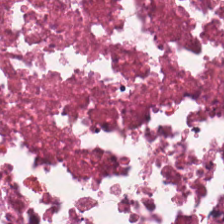Whole-slide-image patch. H&E.
Histology → debris.
